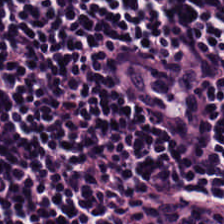Hematoxylin-and-eosin stained section — Q: What type of tissue is this?
A: This is lymphocytic infiltrate.
